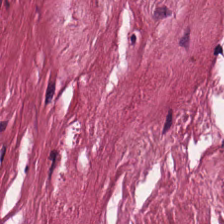Hematoxylin and eosin — Histology → tumor-associated stroma.
